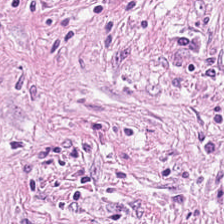0.5 µm/px. H&E. Predominantly tumor-associated stroma.
